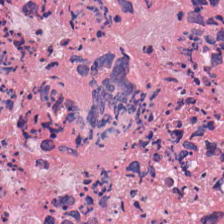Hematoxylin-and-eosin stained section. FFPE.
Tissue class = cellular debris.
